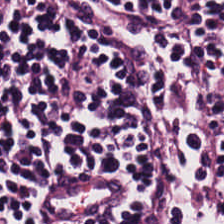FFPE · H&E stain · whole-slide-image patch — Q: What is shown here?
A: It is lymphoid infiltrate.
